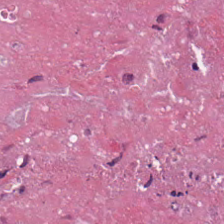The tissue here is debris.
